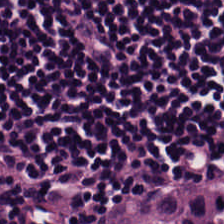H&E-stained tissue section. Formalin-fixed paraffin-embedded section. Impression — lymphocytes.
